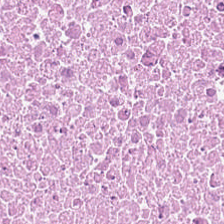Hematoxylin-and-eosin stained section — This field is debris.
